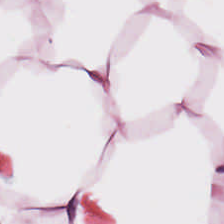H&E-stained tissue section; 0.5 µm/px.
The tissue is adipose tissue.
